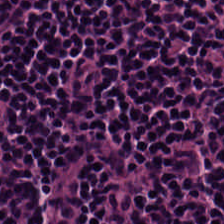This field is lymphocytic infiltrate.
